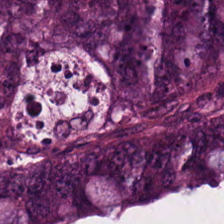FFPE tissue section; H&E-stained tissue section. Classification: colorectal adenocarcinoma epithelium.
